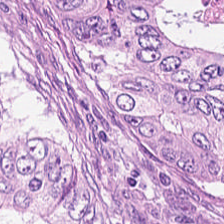Tissue class = tumor epithelium.
